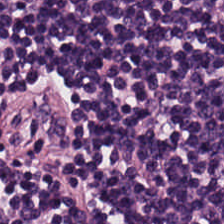Hematoxylin and eosin. Tissue class: lymphocytic infiltrate.
